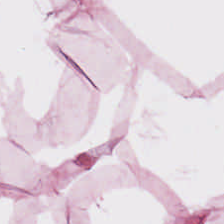WSI patch; hematoxylin and eosin. Tissue type: adipose.
